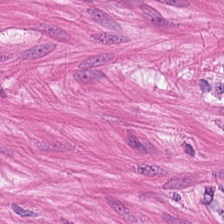H&E stain.
Tissue = muscularis.
